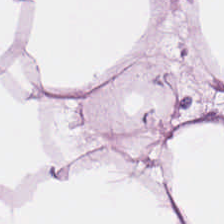Formalin-fixed paraffin-embedded section. H&E stain. Impression → adipose.
